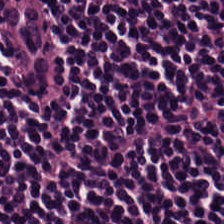Classification: lymphocyte aggregate.
